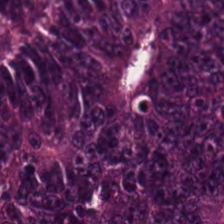WSI patch · hematoxylin-and-eosin stained section — This patch shows colorectal adenocarcinoma epithelium.
